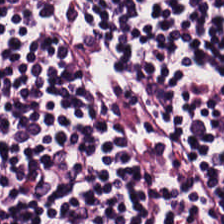Q: What tissue type is shown here?
A: Lymphocyte aggregate.
